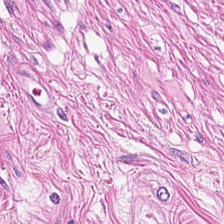224×224 px patch; H&E stain; 0.5 µm per pixel. Q: What is the predominant tissue type?
A: This is muscularis.
